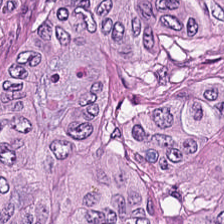Hematoxylin-and-eosin stained section; whole-slide-image patch.
Q: What tissue type is shown here?
A: Malignant epithelium.
